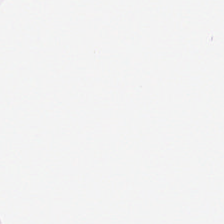FFPE tissue section · 224×224 px tile · hematoxylin-and-eosin stained section. Tissue class = adipose.
